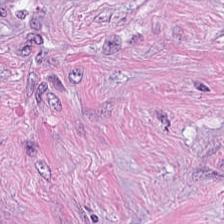Formalin-fixed paraffin-embedded section; H&E stain.
This patch shows tumor stroma.
